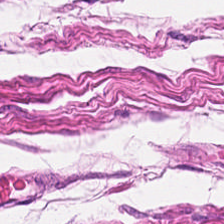Hematoxylin-and-eosin stained section — Smooth-muscle tissue.
